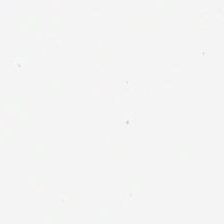0.5 µm per pixel. Hematoxylin-and-eosin stained section. Q: What is shown in this field?
A: It is background (no tissue).
